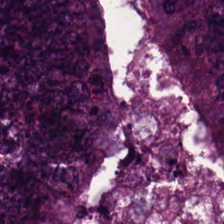Hematoxylin and eosin — Histology → colorectal adenocarcinoma epithelium.
